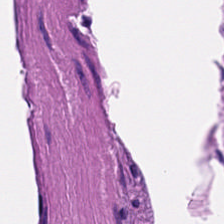Formalin-fixed paraffin-embedded section; brightfield microscopy; H&E stain.
Predominantly smooth-muscle tissue.
